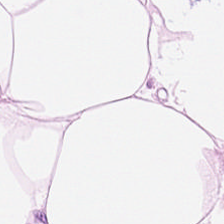Formalin-fixed paraffin-embedded section · hematoxylin and eosin — Showing fat tissue.
